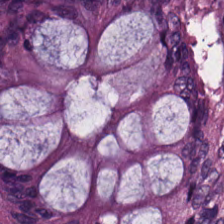224×224 px tile · H&E · WSI patch. Q: Identify the tissue.
A: It is benign colonic mucosa.
